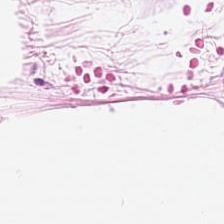H&E-stained tissue section · 224×224 pixel tile · brightfield microscopy — Q: Classify this patch.
A: This is fat tissue.
